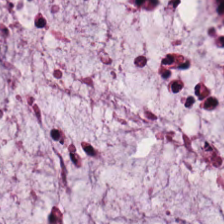This patch shows extracellular mucin.
